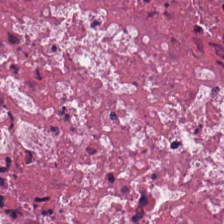Hematoxylin and eosin · brightfield microscopy · 224×224 px tile. Tissue — debris.
